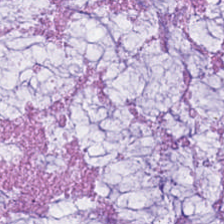Q: What is shown here?
A: Mucin.
